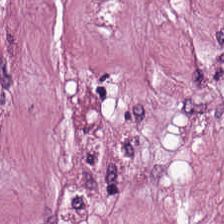Formalin-fixed paraffin-embedded section; H&E stain; 0.5 µm per pixel. Predominantly cancer-associated stroma.
